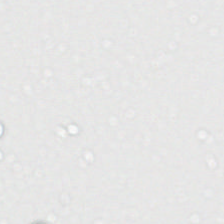Histology → no tissue.
